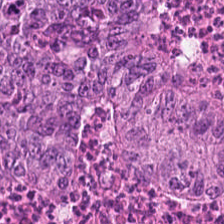Predominant tissue: malignant epithelium.
